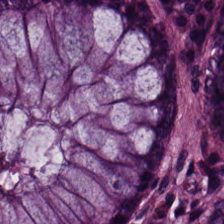Stain: H&E stain.
Classification: non-neoplastic colon mucosa.
